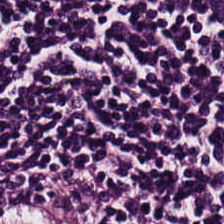Hematoxylin and eosin — Predominantly lymphoid infiltrate.
